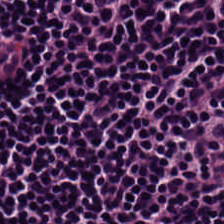H&E-stained tissue section; brightfield.
This patch shows lymphocyte aggregate.
